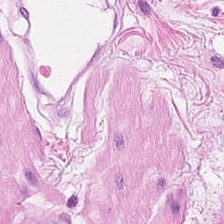FFPE · H&E stain.
Q: What is shown here?
A: The field shows muscularis.
